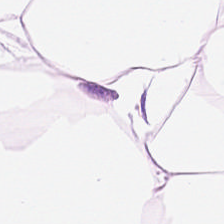Stain: H&E-stained tissue section.
Tile size: 224×224 px patch.
Classification: adipocytes.
